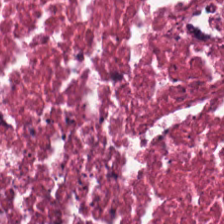Hematoxylin-and-eosin stained section. Formalin-fixed paraffin-embedded section. 224×224 pixel tile. The predominant tissue is necrotic debris.
